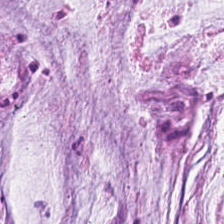Hematoxylin-and-eosin stained section. The tissue here is mucin.
